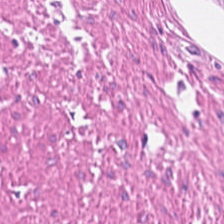Hematoxylin-and-eosin stained section. Impression — smooth-muscle tissue.
